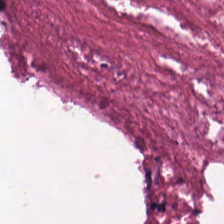Stain: H&E stain.
Predominant tissue: cellular debris.
